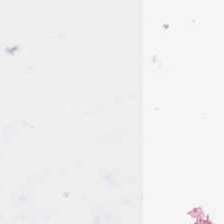Hematoxylin and eosin.
Classification — no tissue.
